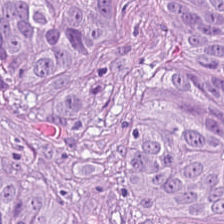H&E.
Predominant tissue — adenocarcinoma.
